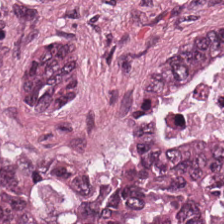Hematoxylin and eosin · formalin-fixed paraffin-embedded section — {"tissue_type": "colorectal adenocarcinoma"}
